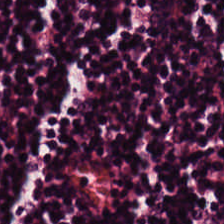Hematoxylin and eosin. FFPE. 0.5 µm/px.
Q: What tissue type is shown here?
A: The field shows lymphocyte aggregate.
